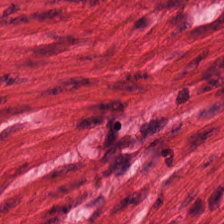FFPE; hematoxylin and eosin. Q: What tissue type is shown here?
A: This is muscularis.
